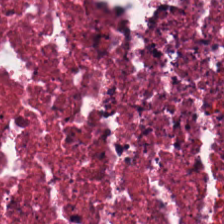Formalin-fixed paraffin-embedded section. H&E.
Tissue class: cellular debris.
